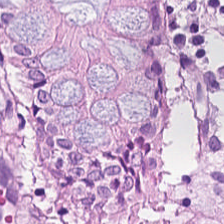WSI patch · 224×224 px patch · H&E-stained tissue section. Finding → normal colonic mucosa.
